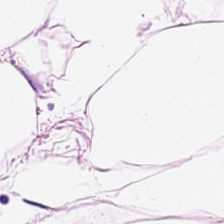Stain: hematoxylin and eosin.
Classification: adipose tissue.
